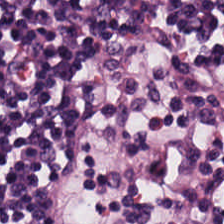224×224 px patch · hematoxylin-and-eosin stained section. Impression — lymphocytic infiltrate.
